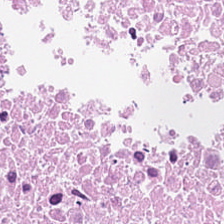Formalin-fixed paraffin-embedded section · H&E-stained tissue section · 224×224 px tile — The tissue class is debris.
